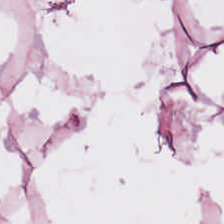Tissue type — adipose.
